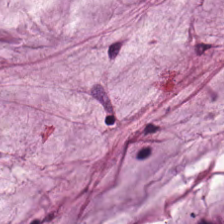224×224 px tile · WSI patch · H&E-stained tissue section — The tissue here is mucin.
